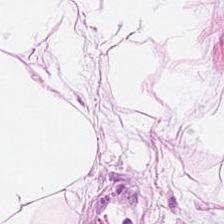Brightfield microscopy; H&E-stained tissue section.
Predominantly adipose.
